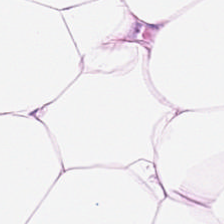H&E — Q: What is the predominant tissue type?
A: It is fat tissue.
